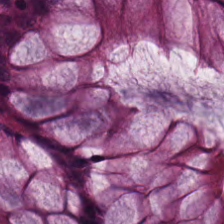H&E stain. Whole-slide-image patch.
This patch shows normal colonic mucosa.
